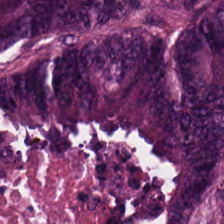H&E stain.
Histology → tumor epithelium.
